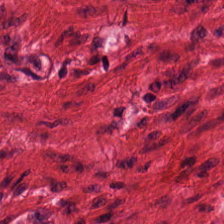H&E-stained tissue section. 224×224 px tile. The predominant tissue is muscularis.
